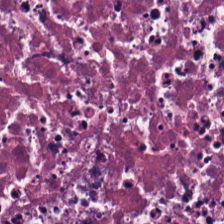0.5 µm/px · H&E.
The tissue here is necrotic debris.
